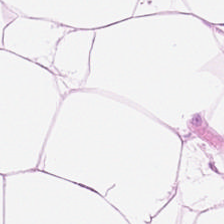H&E-stained tissue section · WSI patch · 0.5 microns per pixel.
This patch shows adipose tissue.
